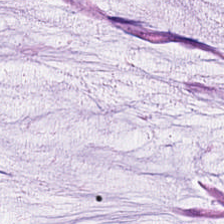20× equivalent magnification. Hematoxylin-and-eosin stained section. FFPE tissue section. Q: Identify the tissue.
A: Mucin.
